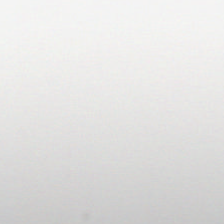224×224 px patch. H&E. 20× equivalent magnification. The classification is no tissue.
